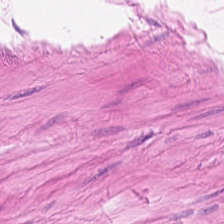H&E-stained tissue section. Q: What does this patch show?
A: Smooth-muscle tissue.
